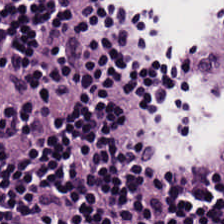20× equivalent magnification; H&E-stained tissue section — Predominantly lymphocytes.
